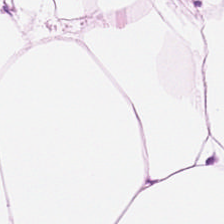Stain: H&E-stained tissue section.
Tissue type: adipose tissue.
